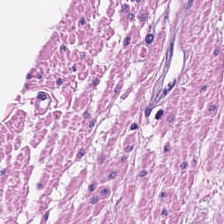H&E-stained tissue section — This patch shows smooth-muscle tissue.
